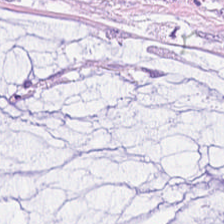H&E · 0.5 microns per pixel · 224×224 pixel tile. Q: What type of tissue is this?
A: Mucus.
